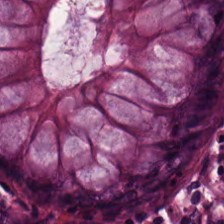Brightfield. H&E-stained tissue section. Predominantly normal colonic mucosa.
